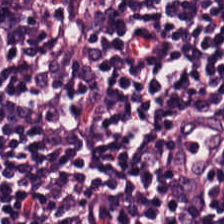Formalin-fixed paraffin-embedded section. H&E-stained tissue section. 224×224 px tile. This patch shows lymphocytic infiltrate.
